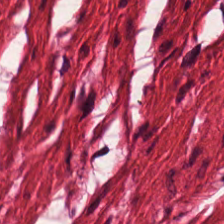Hematoxylin and eosin. 0.5 microns per pixel. FFPE tissue section.
Q: What is shown here?
A: It is smooth muscle.
